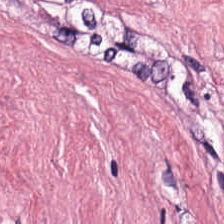Hematoxylin and eosin. Predominant tissue — tumor stroma.
